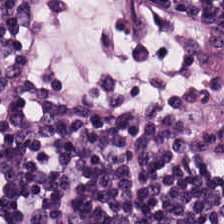Whole-slide-image patch; 0.5 microns per pixel; hematoxylin-and-eosin stained section — Q: What is shown in this field?
A: This is lymphoid infiltrate.
